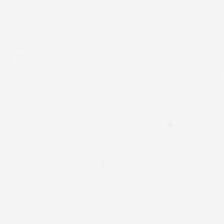Field content = background.
